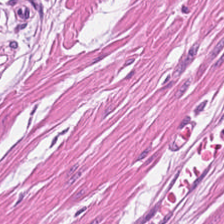H&E-stained tissue section — Q: What does this patch show?
A: Smooth-muscle tissue.
